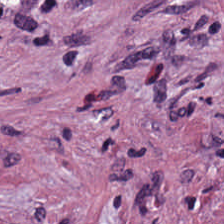Hematoxylin-and-eosin section: tumor stroma.
